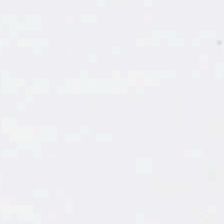Hematoxylin-and-eosin stained section; 0.5 µm/px. Finding → background (no tissue).
